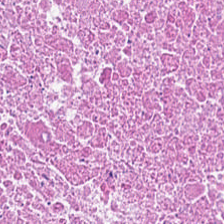H&E stain.
Finding → debris.
